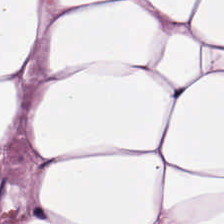H&E-stained tissue section — The tissue here is adipose.
